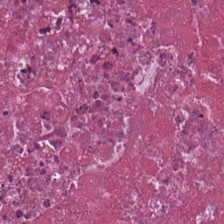H&E-stained tissue section.
{"tissue_type": "cellular debris"}
